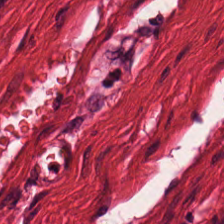Hematoxylin and eosin. This patch shows smooth-muscle tissue.
